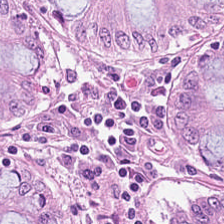H&E-stained tissue section. Q: What tissue is shown?
A: It is benign colonic mucosa.
